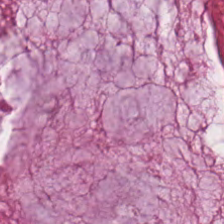Hematoxylin-and-eosin stained section; 224×224 pixel tile — {"tissue_type": "mucus"}
